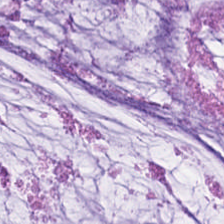Hematoxylin-and-eosin stained section. 224×224 px tile.
Finding — extracellular mucin.
